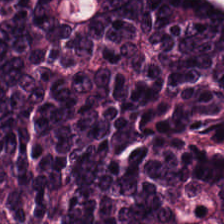Tissue — malignant epithelium.
